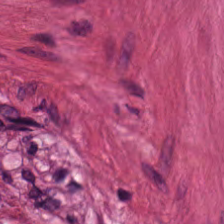Brightfield · H&E-stained tissue section · 224×224 px tile — {"tissue_type": "smooth muscle"}
